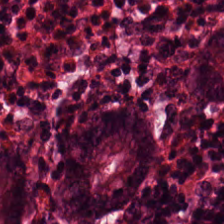FFPE tissue section; 0.5 µm per pixel; hematoxylin and eosin.
This patch shows benign colonic mucosa.
